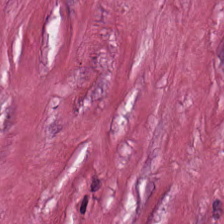H&E patch showing cancer-associated stroma.
